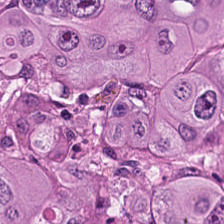224×224 px tile; hematoxylin and eosin; 20× equivalent magnification.
Histology — colorectal adenocarcinoma.
